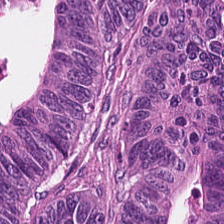H&E stain · brightfield microscopy · 224×224 px tile. Predominantly tumor epithelium.
